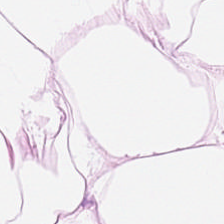Brightfield · FFPE · H&E-stained tissue section. Impression — adipocytes.
